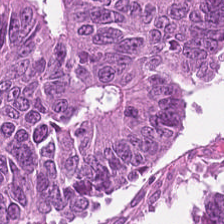H&E; WSI patch. {"tissue_type": "colorectal adenocarcinoma epithelium"}
